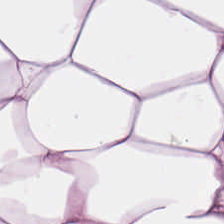H&E. 224×224 px patch. Finding → adipose.
